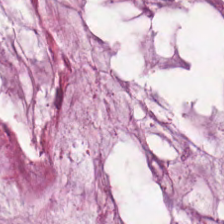Formalin-fixed paraffin-embedded section; hematoxylin-and-eosin stained section; 224×224 px patch.
This patch shows mucin.
